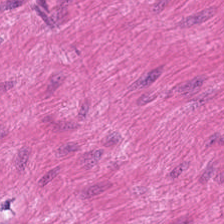224×224 pixel tile; hematoxylin and eosin; FFPE.
Q: Identify the tissue.
A: This is smooth muscle.
